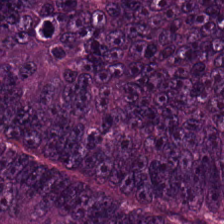Tissue = tumor epithelium.
